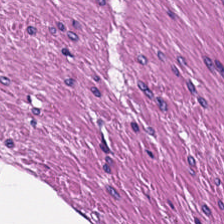Hematoxylin-and-eosin stained section. Brightfield. Tissue type — smooth-muscle tissue.
